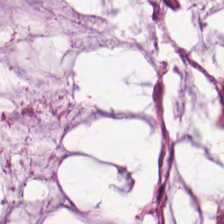H&E stain — Tissue: mucus.
